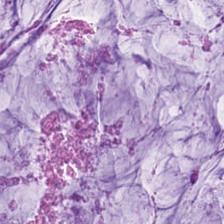Stain: H&E-stained tissue section.
Classification: mucin.
